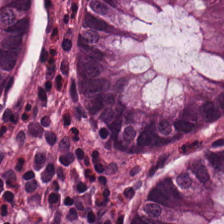H&E. Showing non-neoplastic colon mucosa.
